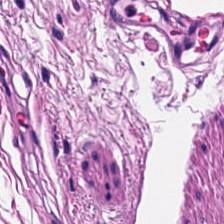H&E. Predominantly smooth-muscle tissue.
